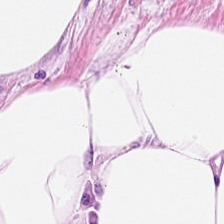Formalin-fixed paraffin-embedded section. 224×224 pixel tile. H&E.
Fat tissue.
